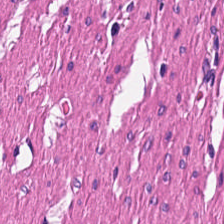{"tissue_type": "smooth-muscle tissue"}
